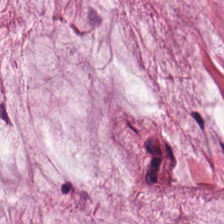Stain: hematoxylin-and-eosin stained section.
Classification: mucin.
